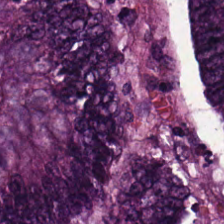Predominantly tumor epithelium.
